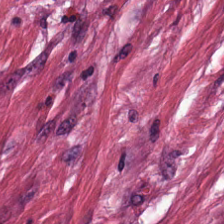Stain: hematoxylin and eosin.
Classification: desmoplastic stroma.
